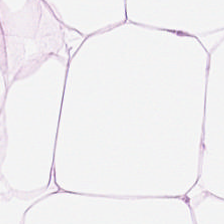Finding — adipocytes.
